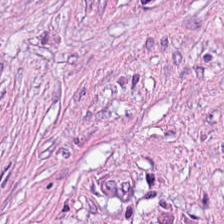H&E.
This patch shows desmoplastic stroma.
